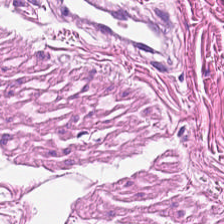H&E stain · 20× equivalent magnification — Tissue = smooth-muscle tissue.
